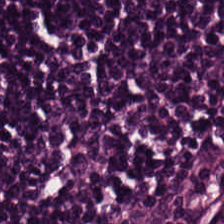H&E stain.
Predominantly lymphocytic infiltrate.
